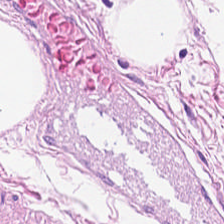Hematoxylin-and-eosin stained section — {"tissue_type": "adipocytes"}
